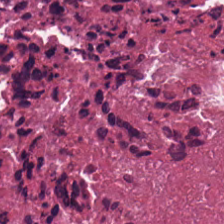0.5 microns per pixel; hematoxylin and eosin.
Histology → debris.
